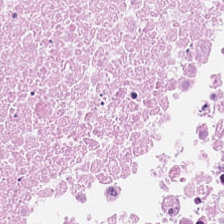Hematoxylin and eosin — The predominant tissue is cellular debris.
